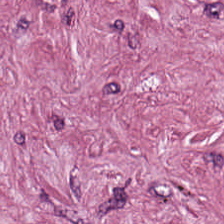H&E stain.
Cancer-associated stroma.
